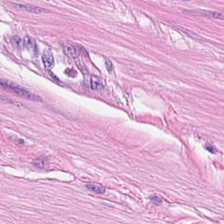Tissue type = muscularis.
